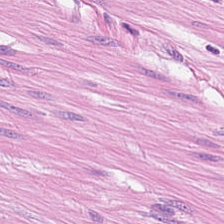224×224 px tile. Hematoxylin-and-eosin stained section. Tissue: smooth-muscle tissue.
